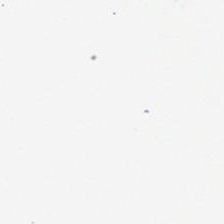Formalin-fixed paraffin-embedded section; brightfield; hematoxylin and eosin. Q: What does this patch show?
A: This is empty background.
